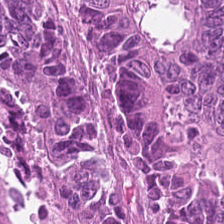0.5 µm per pixel · hematoxylin-and-eosin stained section.
Showing adenocarcinoma.
